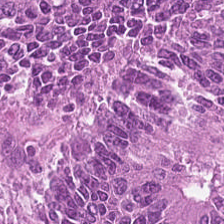Formalin-fixed paraffin-embedded section · 0.5 microns per pixel · H&E-stained tissue section. Showing colorectal adenocarcinoma.
